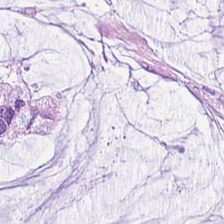Hematoxylin-and-eosin stained section.
Histology — mucin.
